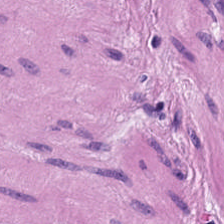H&E · 224×224 px tile — Tissue: smooth-muscle tissue.
